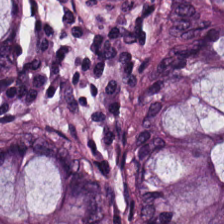224×224 px tile. H&E-stained tissue section.
Q: Classify this patch.
A: Normal colon mucosa.
